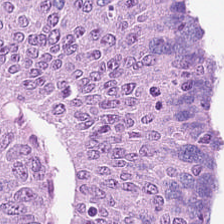Q: Identify the tissue.
A: Tumor epithelium.
